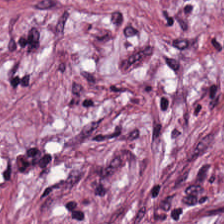H&E-stained tissue section — Showing tumor stroma.
